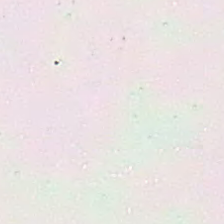H&E · 224×224 pixel tile · WSI patch — Field content: no tissue.
